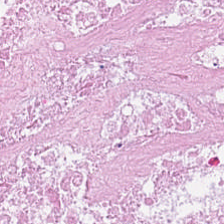Hematoxylin-and-eosin stained section. This field is necrotic debris.
